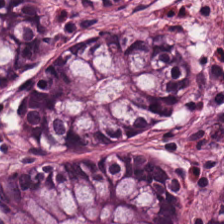Predominantly normal colonic mucosa.
